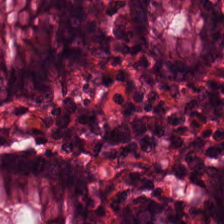Hematoxylin-and-eosin stained section.
This field is non-neoplastic colon mucosa.
